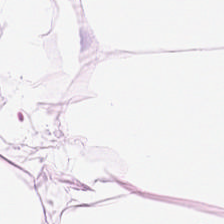H&E stain.
Q: What type of tissue is this?
A: It is fat tissue.
